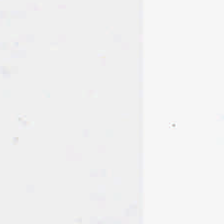H&E.
Classification — background (no tissue).
